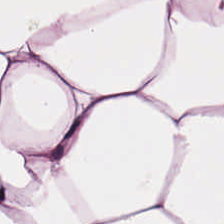224×224 pixel tile; FFPE tissue section; H&E-stained tissue section — Predominantly fat tissue.
